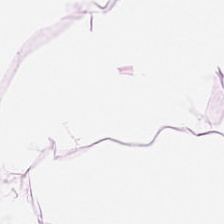H&E stain — Showing adipose tissue.
